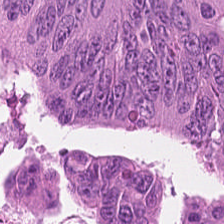H&E-stained tissue section — This patch shows colorectal adenocarcinoma.
